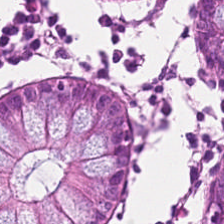H&E stain — Q: What type of tissue is this?
A: The field shows normal colon mucosa.
